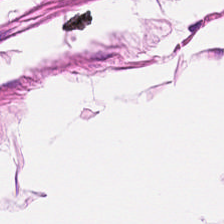Hematoxylin-and-eosin stained section · FFPE — Smooth muscle.
